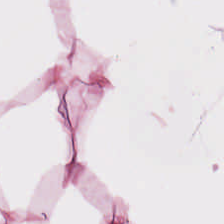H&E-stained tissue section — Q: What tissue is shown?
A: The field shows adipose tissue.
